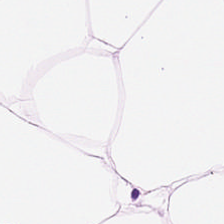Stain: H&E.
Preparation: FFPE.
Resolution: 0.5 µm/px.
Predominant tissue: adipose tissue.
